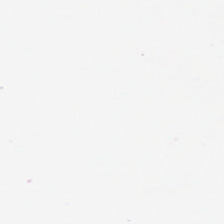224×224 pixel tile; hematoxylin and eosin. This patch shows empty background.
